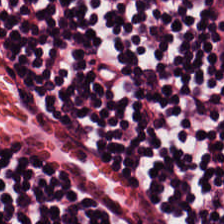Stain: H&E.
Predominant tissue: lymphocytic infiltrate.
